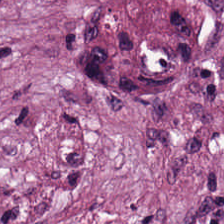H&E — desmoplastic stroma.
